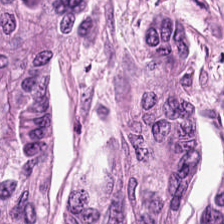Hematoxylin and eosin.
Tissue type = colorectal adenocarcinoma epithelium.
